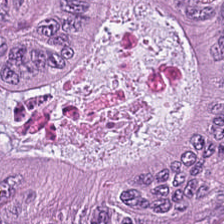H&E-stained section; the field shows colorectal adenocarcinoma epithelium.
